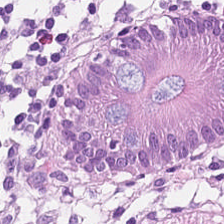Hematoxylin and eosin. The tissue class is non-neoplastic colon mucosa.
